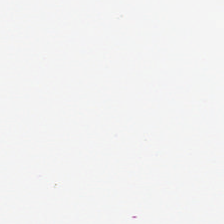H&E stain. 224×224 px tile.
Histology — background.
